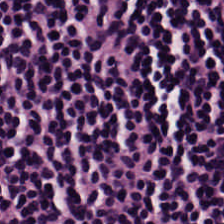224×224 px patch; hematoxylin-and-eosin stained section — Tissue type — lymphocytic infiltrate.
